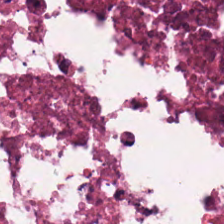224×224 px tile. Hematoxylin and eosin. Cellular debris.
